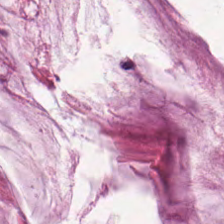Hematoxylin-and-eosin section: mucin.
